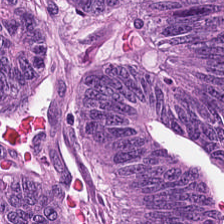Hematoxylin-and-eosin stained section.
Histology → adenocarcinoma.
